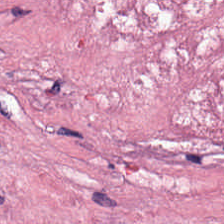H&E-stained tissue section. 20× equivalent magnification. Formalin-fixed paraffin-embedded section.
{"tissue_type": "desmoplastic stroma"}
